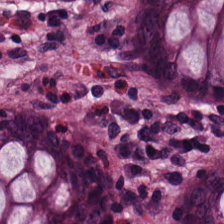H&E-stained tissue section · 0.5 µm/px.
Predominant tissue = non-neoplastic colon mucosa.
